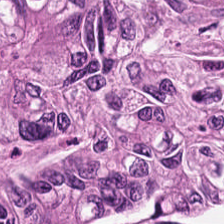Hematoxylin and eosin. Q: Classify this patch.
A: Malignant epithelium.
